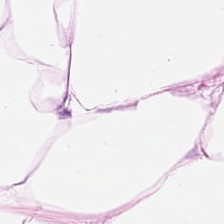224×224 px patch. H&E stain.
Predominantly adipose tissue.
